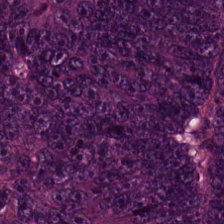Stain: H&E.
Resolution: 0.5 µm per pixel.
Classification: adenocarcinoma.
